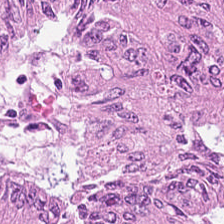FFPE tissue section. Hematoxylin-and-eosin stained section. 224×224 px patch.
Tissue type = colorectal adenocarcinoma.
